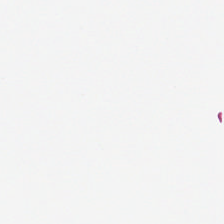H&E · 224×224 px tile.
Content = no tissue.
